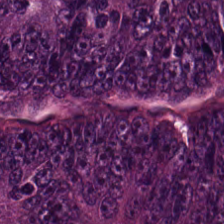H&E stain. 224×224 px tile. The predominant tissue is colorectal adenocarcinoma.
